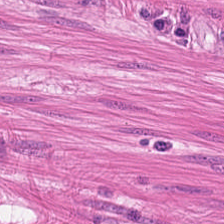Hematoxylin-and-eosin stained section.
Tissue class = muscularis.
